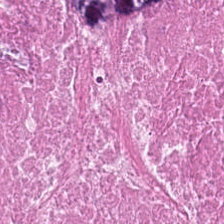Hematoxylin-and-eosin stained section. Brightfield. Formalin-fixed paraffin-embedded section — {"tissue_type": "cellular debris"}
